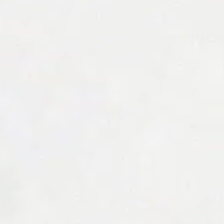Hematoxylin-and-eosin stained section · brightfield. Background — no tissue in this field.
